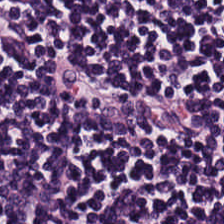Hematoxylin-and-eosin stained section. Histology — lymphocytic infiltrate.
